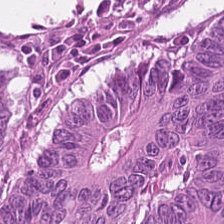Hematoxylin and eosin.
Showing malignant epithelium.
